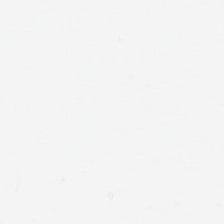Background — no tissue in this field.
